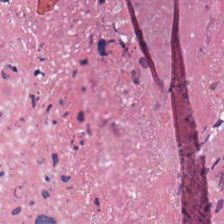Stain: hematoxylin and eosin.
Classification: necrotic debris.
